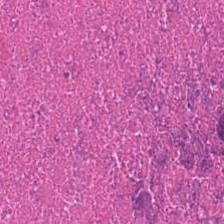H&E stain. 224×224 px tile. Tissue type — necrotic debris.
